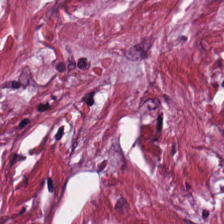Tissue: cancer-associated stroma.
